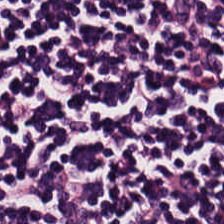H&E stain. This field is lymphoid infiltrate.
